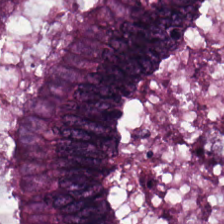Predominant tissue — colorectal adenocarcinoma epithelium.
